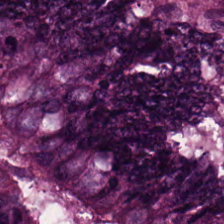Stain: H&E.
Acquisition: brightfield.
Resolution: 0.5 microns per pixel.
Classification: adenocarcinoma.
